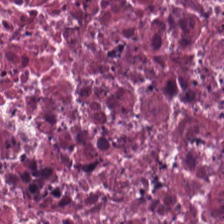FFPE tissue section; H&E — Finding → debris.
